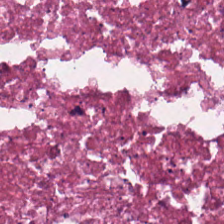0.5 microns per pixel. Hematoxylin and eosin. FFPE tissue section — Tissue = cellular debris.
